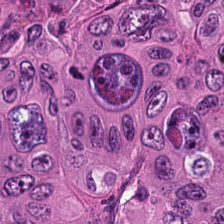H&E-stained tissue section; brightfield microscopy.
The predominant tissue is malignant epithelium.
